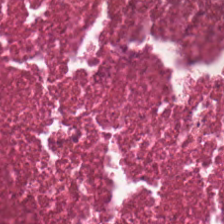20× equivalent magnification · hematoxylin-and-eosin stained section. Impression → debris.
